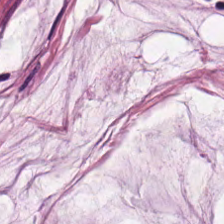Brightfield microscopy · H&E stain · 224×224 px tile.
The tissue here is extracellular mucin.
